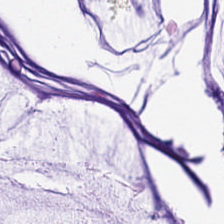Hematoxylin-and-eosin section: extracellular mucin.
